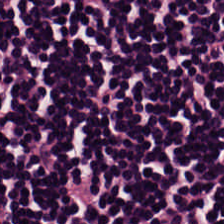Whole-slide-image patch. 224×224 px tile. Hematoxylin-and-eosin stained section. Q: Identify the tissue.
A: The field shows lymphocytic infiltrate.
